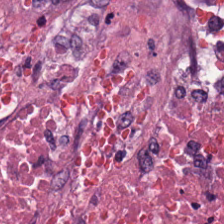Stain: H&E stain.
Predominant tissue: debris.
